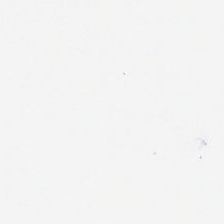Brightfield. 20× equivalent magnification. H&E. No tissue present; background only.
